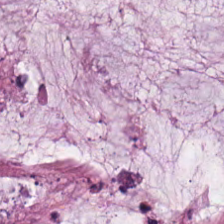0.5 microns per pixel · hematoxylin and eosin. Mucus.
